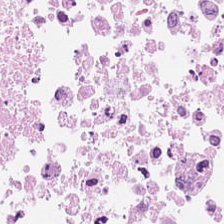224×224 px patch. H&E stain. Showing cellular debris.
